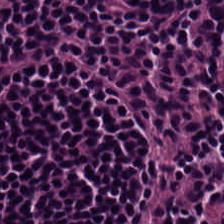Hematoxylin-and-eosin stained section — The tissue here is lymphocytes.
